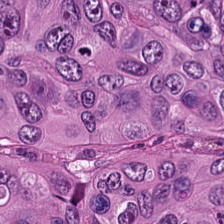Classification — tumor epithelium.
